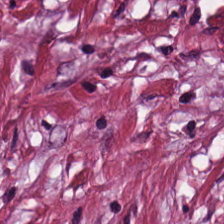Hematoxylin-and-eosin stained section — Q: What is shown here?
A: This is tumor stroma.
